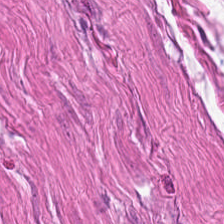Hematoxylin and eosin · 224×224 px tile. This field is smooth muscle.
